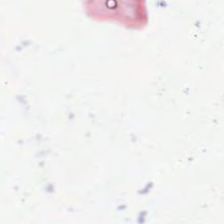Hematoxylin and eosin; 224×224 px tile. The content is background.
